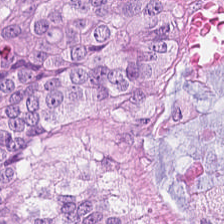Tissue type = colorectal adenocarcinoma.
